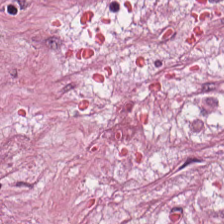H&E; whole-slide-image patch; 0.5 microns per pixel.
Histology → tumor-associated stroma.
